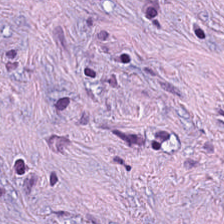WSI patch · H&E stain.
{"tissue_type": "tumor-associated stroma"}
